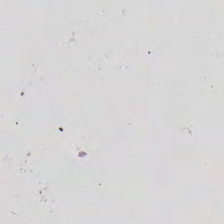Whole-slide-image patch · hematoxylin-and-eosin stained section · 0.5 µm per pixel — Field content — no tissue.
